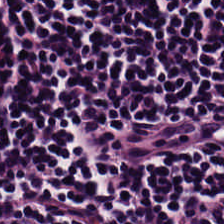224×224 px tile · H&E stain · brightfield — Impression — lymphocytic infiltrate.
